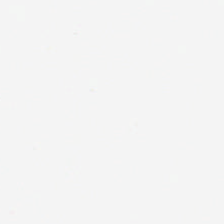H&E. Brightfield — Classification — background (no tissue).
